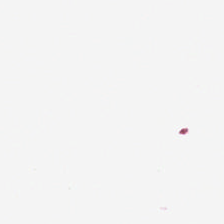Hematoxylin-and-eosin stained section. Empty field — background.
